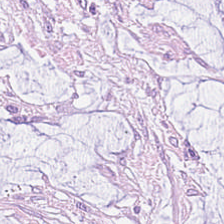Predominantly mucin.
